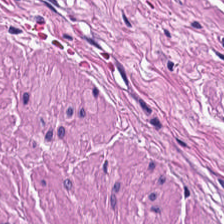Hematoxylin and eosin. Classification = smooth muscle.
